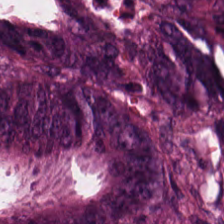This patch shows colorectal adenocarcinoma.
